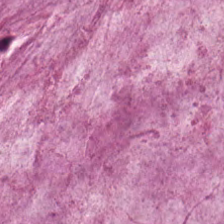Brightfield; H&E stain. Predominantly mucus.
